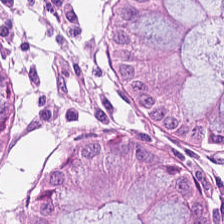Q: What is shown in this field?
A: This is benign colonic mucosa.
